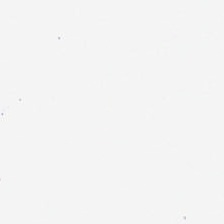Hematoxylin and eosin. Histology → background (no tissue).
